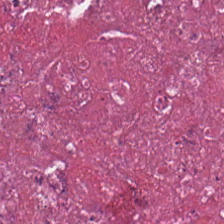Hematoxylin-and-eosin stained section. FFPE tissue section. 224×224 px patch. Finding — necrotic debris.
